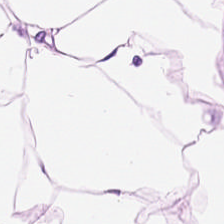H&E-stained tissue section.
Predominantly fat tissue.
